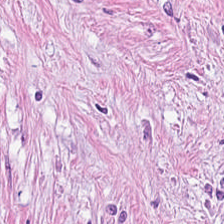Hematoxylin and eosin · 0.5 µm/px.
Finding — tumor-associated stroma.
